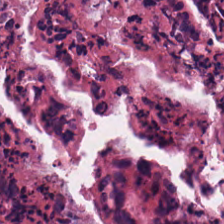224×224 px tile. 20× equivalent magnification. H&E stain — Predominant tissue — necrotic debris.
